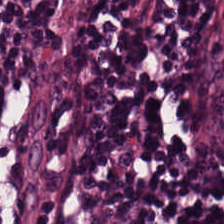Stain: hematoxylin and eosin.
Tissue type: lymphocyte aggregate.
